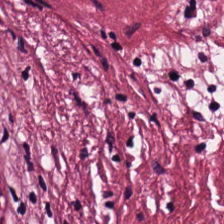224×224 px patch; H&E-stained tissue section; 0.5 µm/px — Predominantly tumor-associated stroma.
